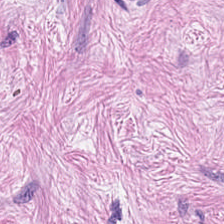H&E-stained tissue section; FFPE; 224×224 px tile — The predominant tissue is cancer-associated stroma.
